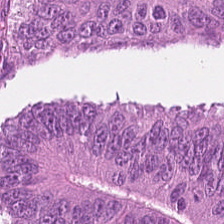Hematoxylin and eosin. Brightfield microscopy. 0.5 µm/px. Tissue type: colorectal adenocarcinoma.
